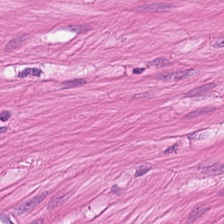This field is smooth muscle.
